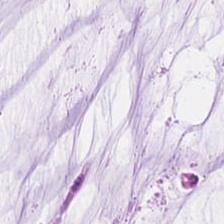Stain: H&E stain.
Predominant tissue: mucus.
